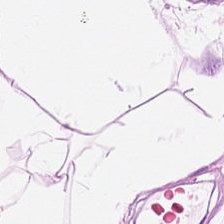H&E · 224×224 pixel tile. The predominant tissue is adipocytes.
